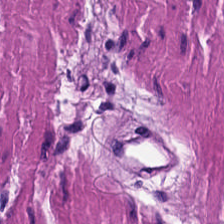Hematoxylin and eosin — Showing smooth muscle.
